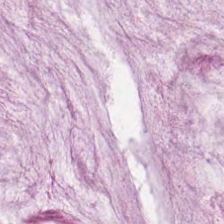Hematoxylin-and-eosin stained section.
Showing mucus.
